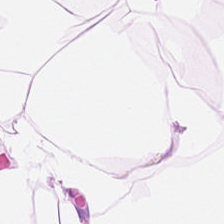Hematoxylin-and-eosin stained section.
Showing adipocytes.
